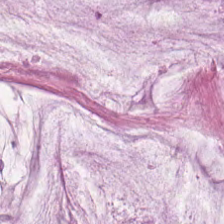H&E.
This patch shows mucin.
